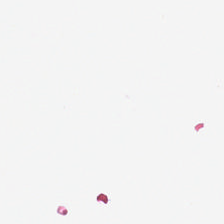H&E.
Empty field — empty background.
